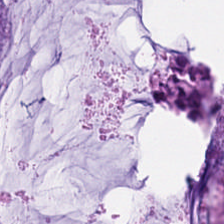Stain: H&E stain.
Tissue type: mucus.
